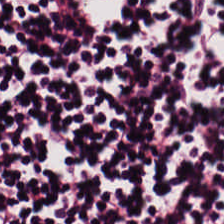H&E-stained tissue section — The tissue is lymphocytic infiltrate.
